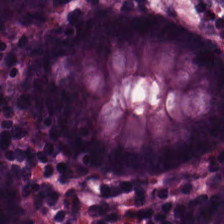H&E-stained section; the field shows benign colonic mucosa.
